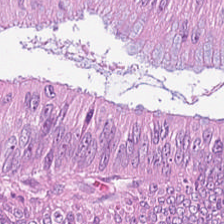The tissue here is malignant epithelium.
